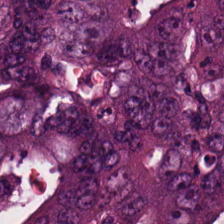H&E-stained tissue section — Tissue class — adenocarcinoma.
